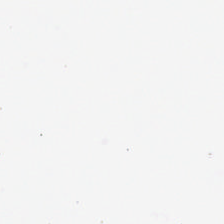20× equivalent magnification. FFPE tissue section. H&E stain.
No tissue present; background only.
